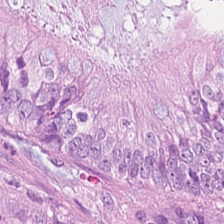Hematoxylin and eosin. Brightfield. Adenocarcinoma.
